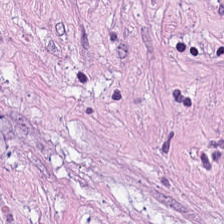H&E. Tumor-associated stroma.
